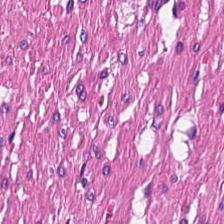H&E stain — Tissue type — muscularis.
